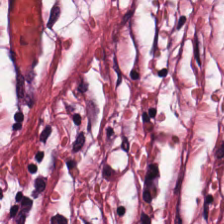Hematoxylin and eosin · 0.5 µm/px — This patch shows desmoplastic stroma.
